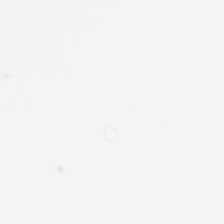Classification = background.
